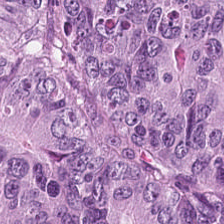H&E-stained tissue section showing colorectal adenocarcinoma.
